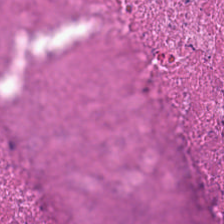Hematoxylin-and-eosin stained section. The tissue here is cellular debris.
